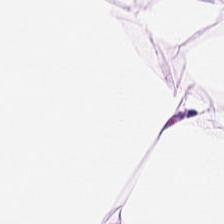Hematoxylin-and-eosin stained section — Predominant tissue: fat tissue.
